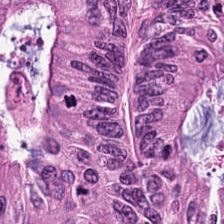Hematoxylin-and-eosin stained section. Q: What is shown in this field?
A: It is malignant epithelium.
